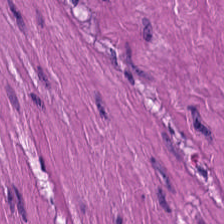H&E stain; FFPE tissue section. Tissue: smooth muscle.
